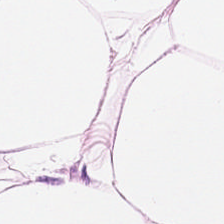Stain: hematoxylin and eosin.
Resolution: 0.5 µm/px.
Tissue: adipose tissue.
